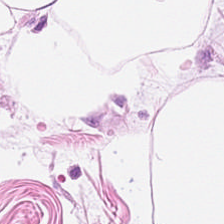20× equivalent magnification · H&E.
The predominant tissue is adipocytes.
